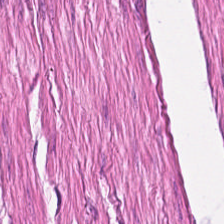H&E — This patch shows muscularis.
